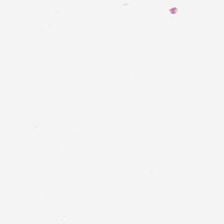Content = empty background.
